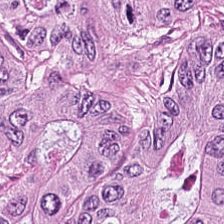Hematoxylin-and-eosin stained section · 224×224 pixel tile · formalin-fixed paraffin-embedded section.
Predominantly tumor epithelium.
